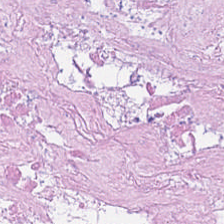Hematoxylin-and-eosin stained section. Tissue type = debris.
